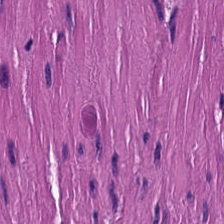H&E. {"tissue_type": "smooth-muscle tissue"}
